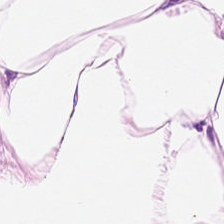0.5 microns per pixel. H&E-stained tissue section — {"tissue_type": "adipocytes"}
